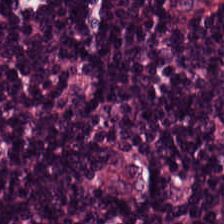Impression → lymphocytes.
